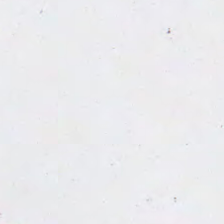0.5 µm per pixel. H&E-stained tissue section.
{"content": "background"}
